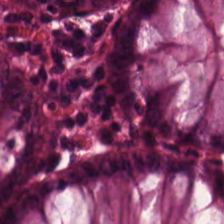H&E-stained tissue section — Q: What tissue type is shown here?
A: The field shows normal colon mucosa.
